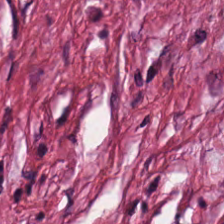This field is tumor stroma.
